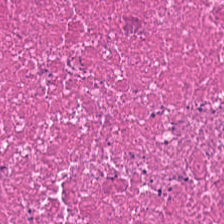Stain: hematoxylin and eosin.
Tile size: 224×224 px tile.
Acquisition: whole-slide-image patch.
Tissue type: cellular debris.
